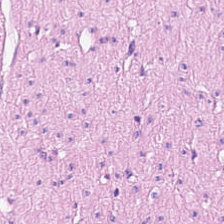{"tissue_type": "muscularis"}
